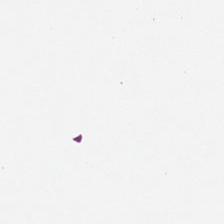Empty field — background.
